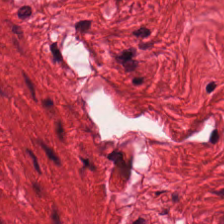H&E stain · 20× equivalent magnification.
Smooth-muscle tissue.
